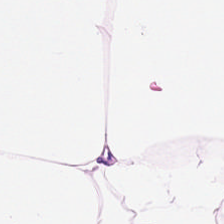Brightfield · H&E-stained tissue section.
Predominantly fat tissue.
